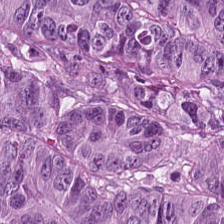Stain: H&E.
Tissue: adenocarcinoma.
